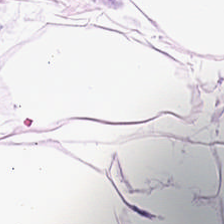H&E — The predominant tissue is adipose tissue.
